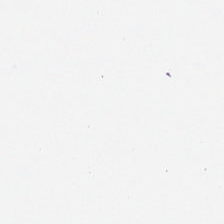Stain: hematoxylin and eosin.
Tile size: 224×224 px tile.
Acquisition: whole-slide-image patch.
Content: no tissue.
